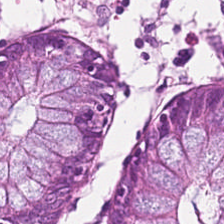Brightfield microscopy. H&E-stained tissue section.
The tissue class is benign colonic mucosa.
